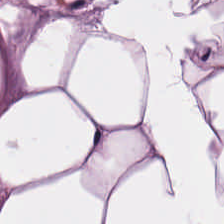This patch shows adipose tissue.
